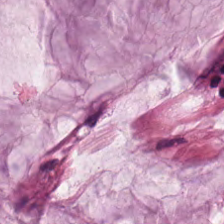Hematoxylin and eosin — Classification: extracellular mucin.
